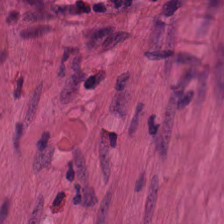Hematoxylin and eosin.
Classification = smooth-muscle tissue.
